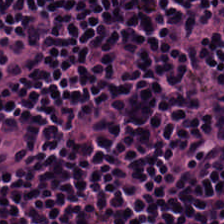Stain: H&E-stained tissue section.
Preparation: FFPE.
Tissue type: lymphocytes.
